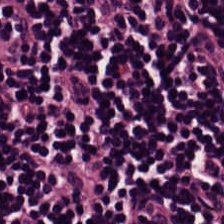Hematoxylin and eosin. Q: Identify the tissue.
A: Lymphocyte aggregate.
